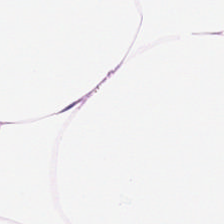Hematoxylin-and-eosin stained section; 224×224 pixel tile. Q: What does this patch show?
A: Adipocytes.
